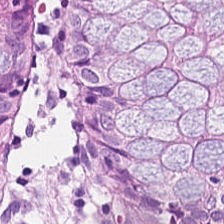Hematoxylin-and-eosin stained section — This field is benign colonic mucosa.
